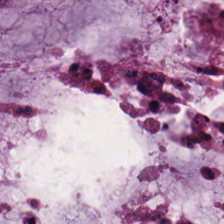0.5 µm/px · FFPE · H&E-stained tissue section. Predominantly mucin.
